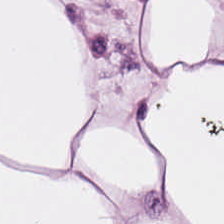224×224 px tile · hematoxylin-and-eosin stained section.
Tissue type — adipose.
